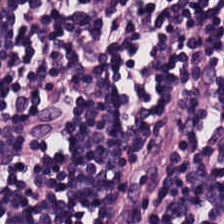Formalin-fixed paraffin-embedded section; hematoxylin and eosin; WSI patch.
{"tissue_type": "lymphoid infiltrate"}
